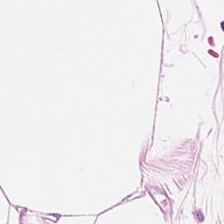224×224 px patch; H&E — The tissue here is adipocytes.
